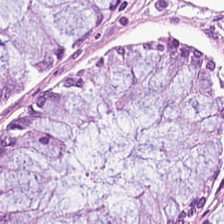H&E. WSI patch — Q: What is shown in this field?
A: This is normal colonic mucosa.
